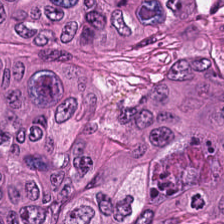H&E-stained tissue section.
{"tissue_type": "tumor epithelium"}
